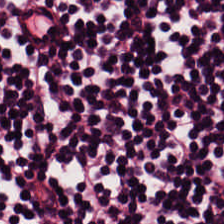Stain: H&E-stained tissue section.
Predominant tissue: lymphoid infiltrate.
